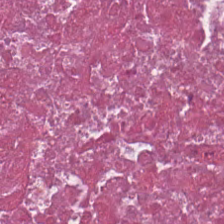H&E — The tissue here is debris.
